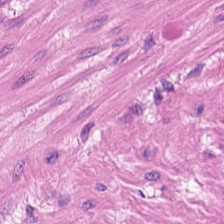H&E. The tissue type is smooth muscle.
